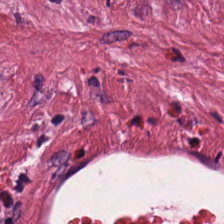H&E-stained tissue section. Q: What is the predominant tissue type?
A: The field shows desmoplastic stroma.
